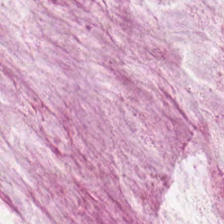This field is mucus.
